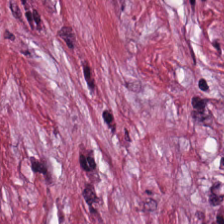Hematoxylin-and-eosin stained section — Histology — tumor stroma.
